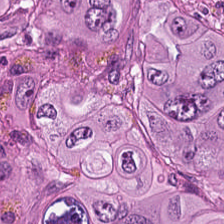Hematoxylin-and-eosin stained section. Predominant tissue = tumor epithelium.
